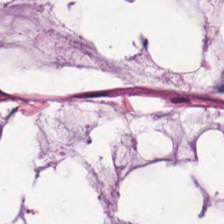H&E-stained tissue section · 224×224 pixel tile.
This field is mucin.
